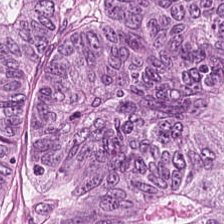H&E; 224×224 px tile; FFPE tissue section. Impression → colorectal adenocarcinoma epithelium.
